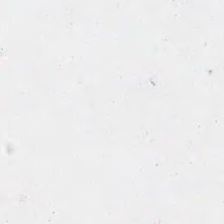H&E stain.
Content: empty background.
